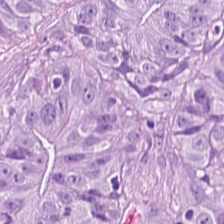H&E · 224×224 px patch · 0.5 microns per pixel.
Predominant tissue — colorectal adenocarcinoma epithelium.
